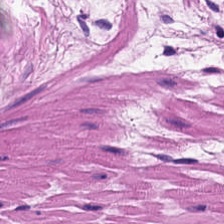20× equivalent magnification. Hematoxylin-and-eosin stained section.
This field is smooth muscle.
